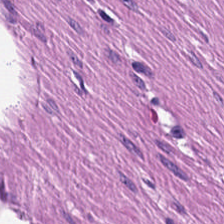Q: What tissue is shown?
A: This is smooth-muscle tissue.
